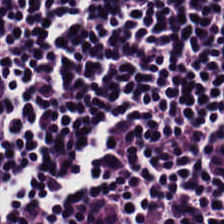{"tissue_type": "lymphocytes"}
